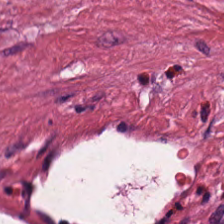Q: What tissue type is shown here?
A: Tumor stroma.
